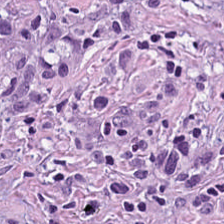Q: What type of tissue is this?
A: The field shows tumor-associated stroma.
